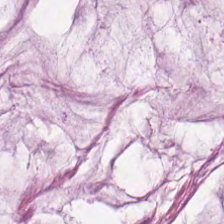Impression — extracellular mucin.
